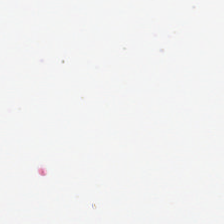H&E-stained tissue section.
Empty background.
